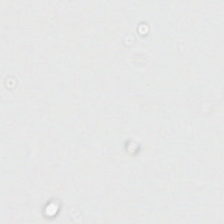H&E stain; 224×224 px tile.
Impression → background (no tissue).
